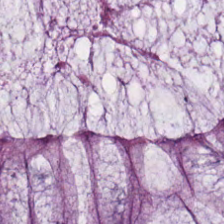Hematoxylin-and-eosin stained section.
The predominant tissue is benign colonic mucosa.
